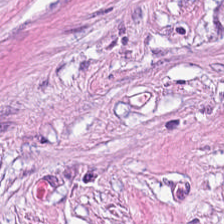Hematoxylin and eosin. Brightfield. Predominant tissue — desmoplastic stroma.
